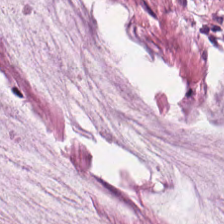Showing mucin.
